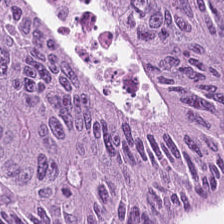H&E-stained tissue section.
Q: Classify this patch.
A: Malignant epithelium.
